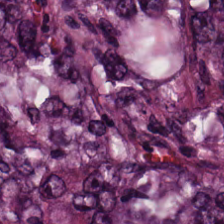224×224 px patch · brightfield microscopy · hematoxylin and eosin.
Q: Identify the tissue.
A: The field shows colorectal adenocarcinoma epithelium.
